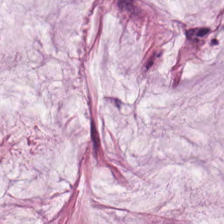The tissue is mucin.
